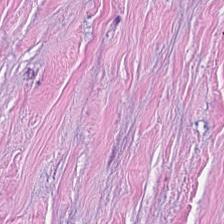Stain: H&E.
Tissue class: desmoplastic stroma.
